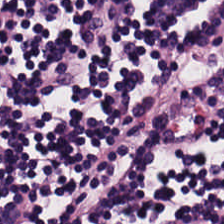Formalin-fixed paraffin-embedded section · H&E stain · brightfield microscopy. Q: What is shown here?
A: It is lymphocytic infiltrate.
